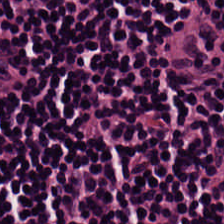Hematoxylin-and-eosin stained section — The tissue is lymphocyte aggregate.
